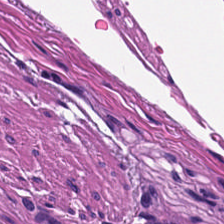Q: Identify the tissue.
A: This is muscularis.
